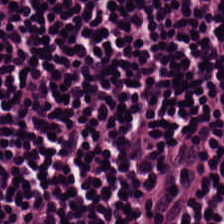Hematoxylin and eosin · WSI patch — The predominant tissue is lymphocytic infiltrate.
